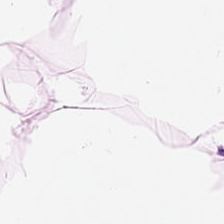This patch shows fat tissue.
